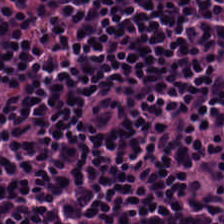H&E-stained tissue section.
Q: What is shown in this field?
A: The field shows lymphocyte aggregate.
